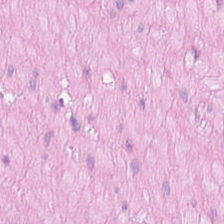Q: What does this patch show?
A: It is smooth muscle.
